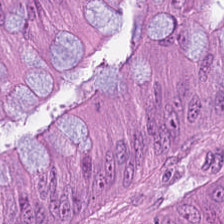Hematoxylin-and-eosin stained section. Q: What tissue type is shown here?
A: Colorectal adenocarcinoma epithelium.
